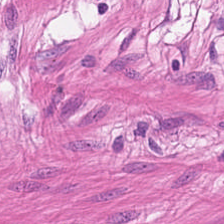H&E-stained tissue section. Formalin-fixed paraffin-embedded section. The tissue is muscularis.
